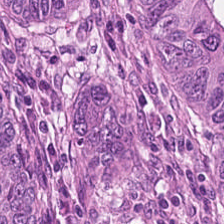0.5 µm per pixel. Hematoxylin and eosin. Q: What is shown here?
A: It is tumor epithelium.
